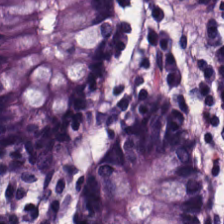0.5 µm per pixel · 224×224 px tile · hematoxylin-and-eosin stained section. This field is normal colon mucosa.
